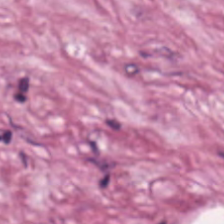H&E stain. Cancer-associated stroma.
